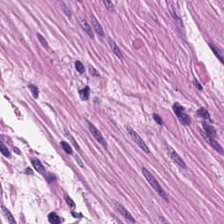H&E-stained tissue section.
Q: What tissue type is shown here?
A: Muscularis.
